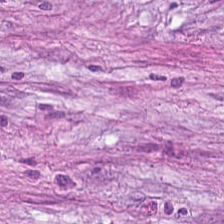Hematoxylin and eosin — Classification = cancer-associated stroma.
